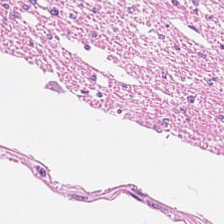The tissue type is smooth muscle.
